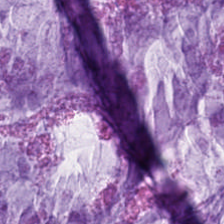H&E stain. Predominantly extracellular mucin.
